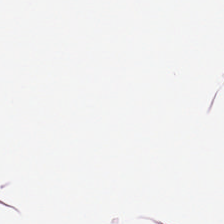WSI patch · H&E. Q: What does this patch show?
A: It is adipose tissue.
